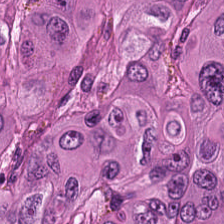224×224 px tile; H&E-stained tissue section. Q: Classify this patch.
A: The field shows colorectal adenocarcinoma epithelium.
